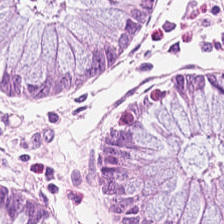224×224 pixel tile · brightfield · H&E stain — Q: What is shown here?
A: This is normal colon mucosa.
